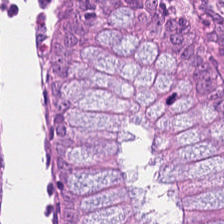Predominantly non-neoplastic colon mucosa.
